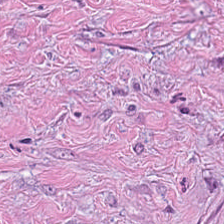H&E; 0.5 µm per pixel — Finding — tumor stroma.
